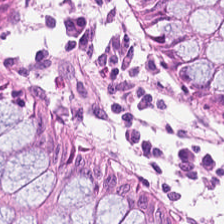Brightfield microscopy · FFPE tissue section · H&E stain. Classification — normal colonic mucosa.
